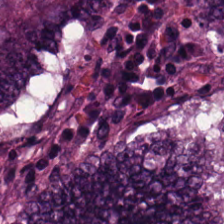Hematoxylin-and-eosin stained section.
Showing colorectal adenocarcinoma.
